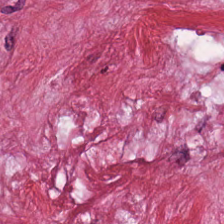Hematoxylin and eosin. Showing cancer-associated stroma.
